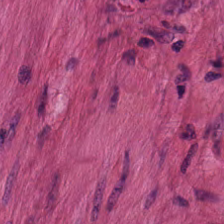Stain: H&E stain.
Tissue class: smooth-muscle tissue.
